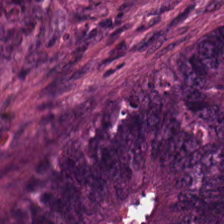H&E-stained tissue section · 224×224 pixel tile.
Tumor epithelium.
